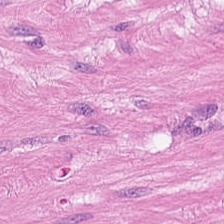H&E. 224×224 pixel tile. Classification — smooth muscle.
